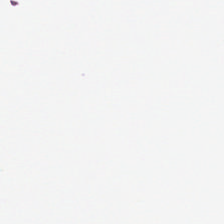0.5 µm per pixel · 224×224 px patch · H&E stain.
Q: What is shown in this field?
A: It is background (no tissue).
